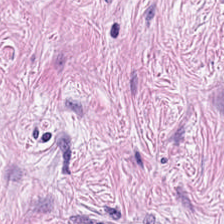H&E-stained tissue section · 20× equivalent magnification · WSI patch. The predominant tissue is desmoplastic stroma.
